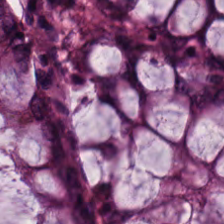Hematoxylin-and-eosin stained section — Tissue class: normal colonic mucosa.
